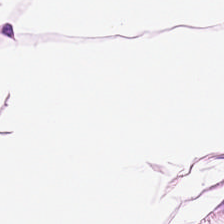Classification: adipocytes.
